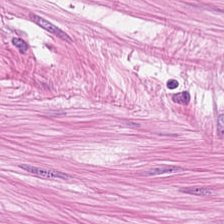Stain: hematoxylin and eosin.
Acquisition: brightfield.
Resolution: 20× equivalent magnification.
Classification: smooth muscle.
